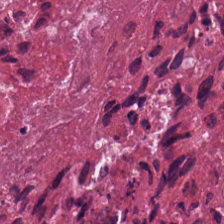Tissue class: debris.
